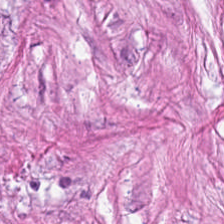The predominant tissue is cancer-associated stroma.
